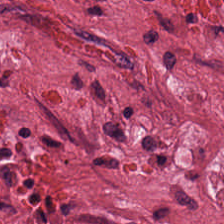H&E. FFPE tissue section.
Predominantly cancer-associated stroma.
